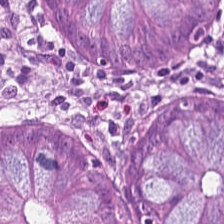H&E. Q: What tissue type is shown here?
A: This is normal colonic mucosa.
